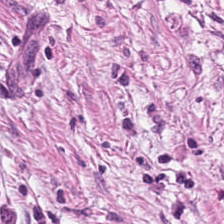Stain: H&E-stained tissue section.
Tissue class: tumor-associated stroma.
